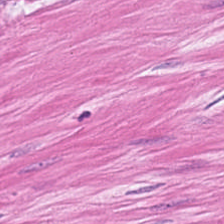0.5 microns per pixel; hematoxylin-and-eosin stained section.
Finding → smooth muscle.
